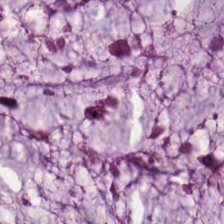224×224 pixel tile; 20× equivalent magnification; hematoxylin and eosin.
Histology → extracellular mucin.
